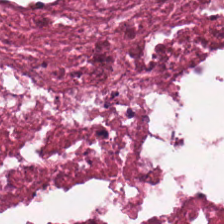H&E stain — Tissue — necrotic debris.
